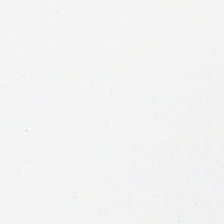Classification = background (no tissue).
